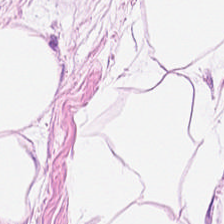Hematoxylin and eosin. Predominantly adipose tissue.
